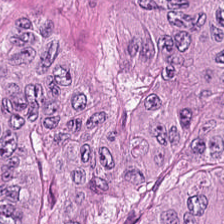H&E stain. The tissue here is adenocarcinoma.
